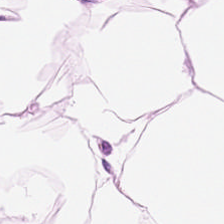Q: What tissue type is shown here?
A: The field shows adipose tissue.
